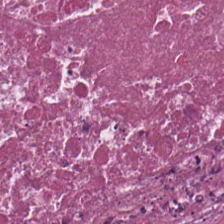Hematoxylin-and-eosin stained section. This patch shows cellular debris.
